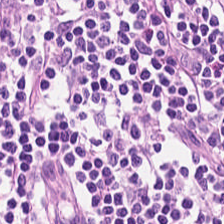Showing lymphoid infiltrate.
